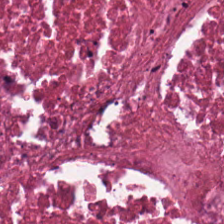H&E-stained tissue section. Histology — cellular debris.
